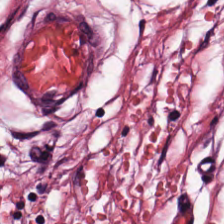H&E. Classification = tumor stroma.
